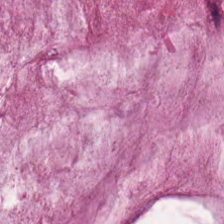Stain: H&E-stained tissue section.
Preparation: FFPE tissue section.
Predominant tissue: mucus.
